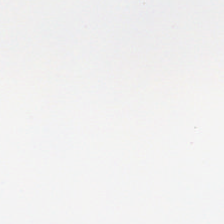FFPE. H&E stain. Brightfield microscopy. Classification = background.
